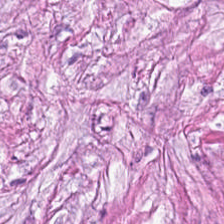0.5 µm/px · 224×224 px tile · H&E. {"tissue_type": "tumor stroma"}
